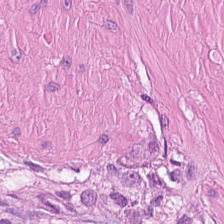224×224 pixel tile. Hematoxylin and eosin. Tissue class — smooth muscle.
